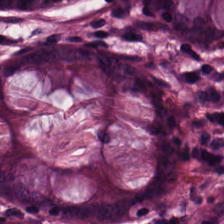Hematoxylin and eosin; 0.5 µm/px; formalin-fixed paraffin-embedded section.
Predominant tissue: normal colonic mucosa.
